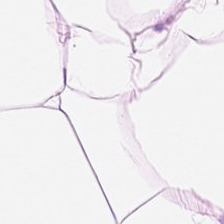Hematoxylin and eosin — Histology → adipocytes.
